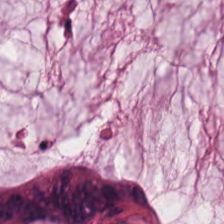H&E stain.
This field is mucus.
